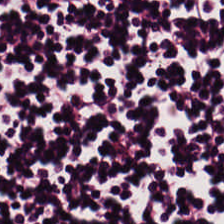H&E stain; 0.5 microns per pixel. The tissue here is lymphoid infiltrate.
